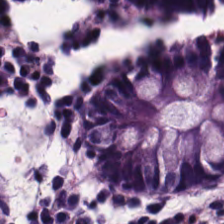H&E patch showing normal colon mucosa.
